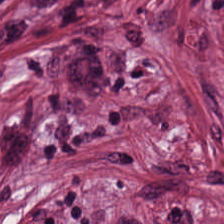Hematoxylin and eosin.
Q: Classify this patch.
A: Tumor-associated stroma.
